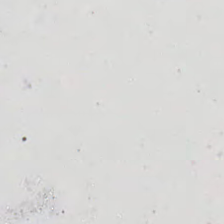FFPE · hematoxylin and eosin · 20× equivalent magnification. {"content": "empty background"}
